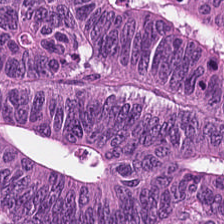0.5 microns per pixel · H&E — Histology — adenocarcinoma.
